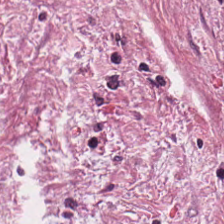H&E-stained tissue section · WSI patch · 0.5 µm per pixel.
The tissue here is tumor-associated stroma.
